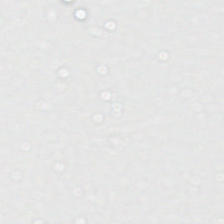Brightfield microscopy · H&E stain · 0.5 µm per pixel. Field content: empty background.
